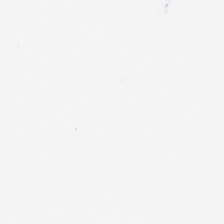Field content: empty background.
